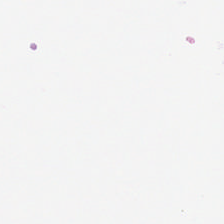Hematoxylin-and-eosin stained section.
Empty field — empty background.
